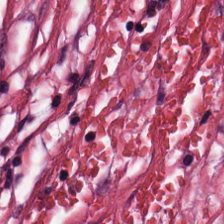H&E. Q: Identify the tissue.
A: It is cancer-associated stroma.
